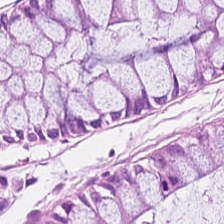Tissue class = non-neoplastic colon mucosa.
